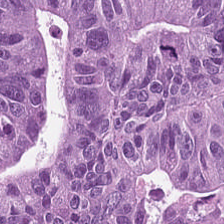Hematoxylin and eosin; FFPE tissue section. The tissue here is malignant epithelium.
